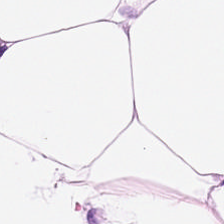Hematoxylin-and-eosin section: fat tissue.
